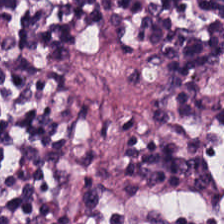Predominant tissue — lymphoid infiltrate.
